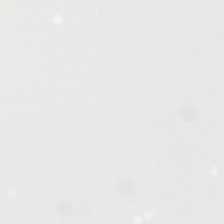Content = background.
